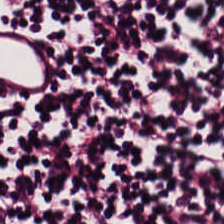Hematoxylin and eosin. 224×224 px patch. Brightfield microscopy. Q: What is shown here?
A: This is lymphocyte aggregate.
